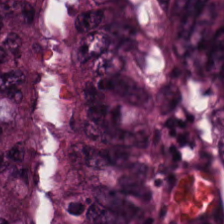H&E stain. This patch shows adenocarcinoma.
